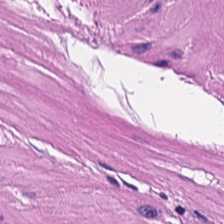H&E — muscularis.
